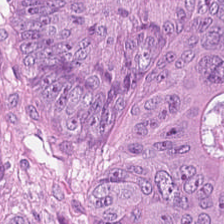Showing colorectal adenocarcinoma epithelium.
